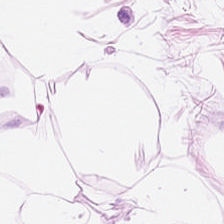H&E-stained tissue section showing adipocytes.
